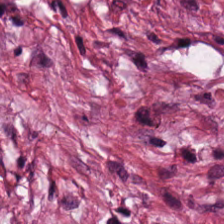H&E stain.
Impression → cancer-associated stroma.
